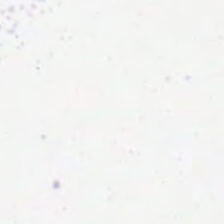Hematoxylin and eosin; FFPE tissue section; brightfield. This field is background (no tissue).
